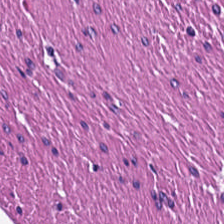Stain: H&E stain.
Tissue: muscularis.
